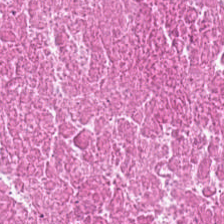H&E-stained tissue section showing necrotic debris.
